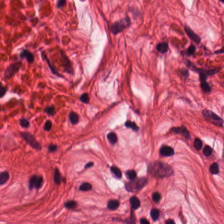Predominant tissue: muscularis.
